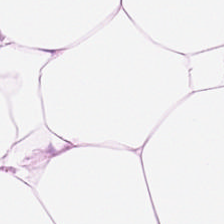224×224 px tile; whole-slide-image patch; H&E. Histology — adipose.
